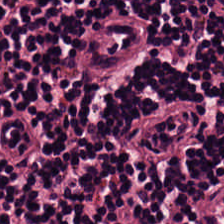Tissue type = lymphoid infiltrate.
